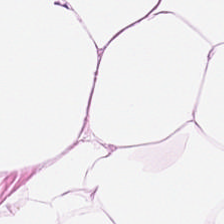Tissue — adipose tissue.
